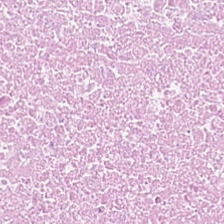Histology — debris.
